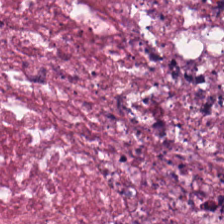H&E — The tissue type is necrotic debris.
